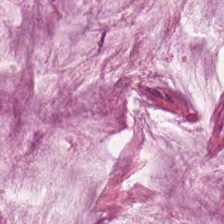Hematoxylin-and-eosin stained section.
The tissue is mucus.
